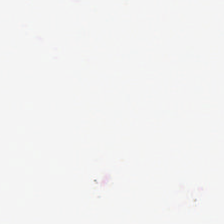Hematoxylin and eosin.
This field is background (no tissue).
